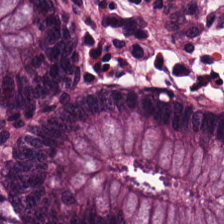Stain: hematoxylin and eosin.
Classification: normal colon mucosa.
